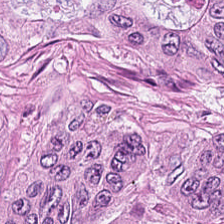WSI patch · H&E stain · 20× equivalent magnification.
Histology — colorectal adenocarcinoma epithelium.
